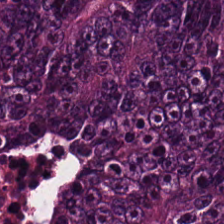Hematoxylin and eosin. Impression → colorectal adenocarcinoma.
